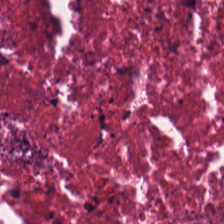Stain: H&E stain.
Tissue: debris.
